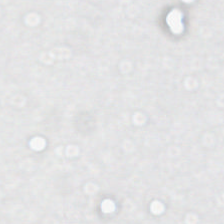FFPE tissue section. H&E-stained tissue section. Brightfield microscopy.
This patch shows no tissue.
